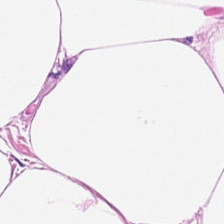Hematoxylin-and-eosin stained section. Predominantly adipose.
